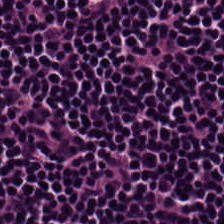WSI patch; 224×224 px patch; hematoxylin and eosin.
The tissue is lymphocytic infiltrate.
